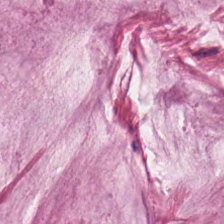Stain: H&E stain.
Resolution: 0.5 µm/px.
Predominant tissue: mucin.
